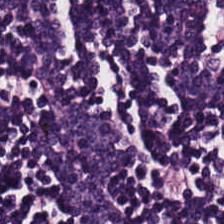FFPE · 224×224 px tile · H&E-stained tissue section.
The tissue here is lymphoid infiltrate.
